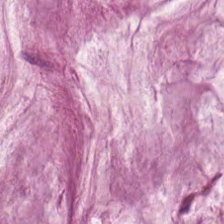H&E-stained tissue section. Predominant tissue = mucin.
